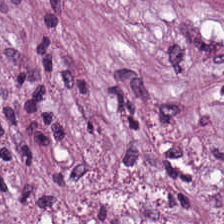FFPE tissue section. 224×224 pixel tile. Hematoxylin-and-eosin stained section. This patch shows desmoplastic stroma.
